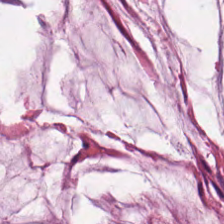Formalin-fixed paraffin-embedded section · H&E — Histology — mucus.
